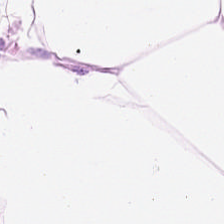Stain: H&E stain.
Predominant tissue: fat tissue.
